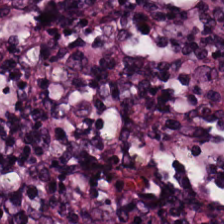Stain: H&E stain.
Tissue type: lymphocyte aggregate.
